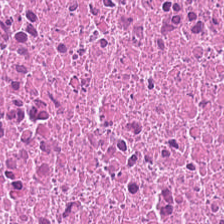Brightfield microscopy · FFPE · H&E stain. Q: What is shown in this field?
A: Necrotic debris.
